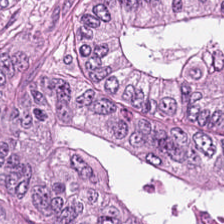Whole-slide-image patch; hematoxylin-and-eosin stained section — Tissue type: colorectal adenocarcinoma epithelium.
